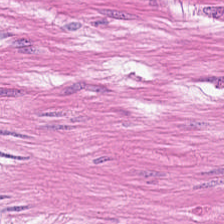H&E-stained tissue section — This patch shows smooth muscle.
